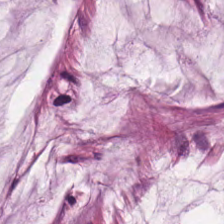Hematoxylin and eosin · 0.5 µm per pixel. Predominantly extracellular mucin.
